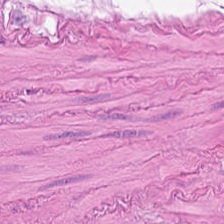Tissue: smooth-muscle tissue.
